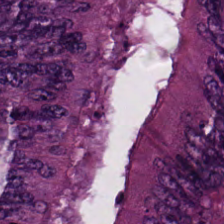224×224 px tile · hematoxylin and eosin.
Tissue type: colorectal adenocarcinoma epithelium.
